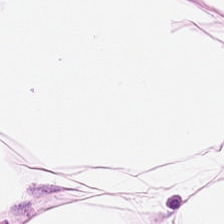H&E stain — The tissue is adipocytes.
